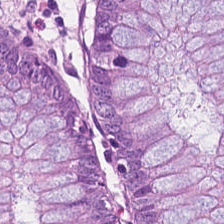H&E patch showing normal colon mucosa.
